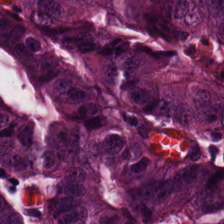H&E-stained tissue section; 20× equivalent magnification. This patch shows colorectal adenocarcinoma.
